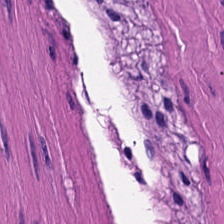H&E. 0.5 microns per pixel. Tissue class = smooth-muscle tissue.
